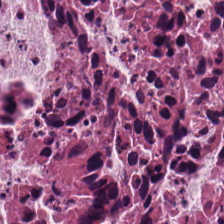H&E stain. Classification: necrotic debris.
